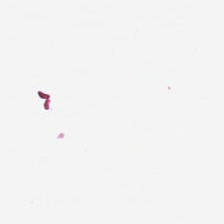224×224 px patch. FFPE. H&E-stained tissue section.
Impression — empty background.
